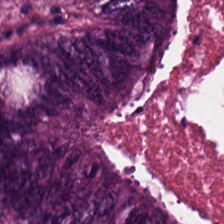H&E — Tissue — adenocarcinoma.
